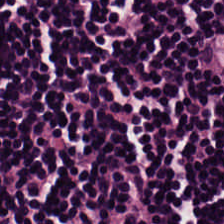Hematoxylin-and-eosin stained section — The classification is lymphocytic infiltrate.
